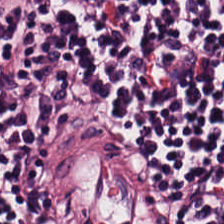Hematoxylin-and-eosin stained section.
Q: What tissue is shown?
A: The field shows lymphocytic infiltrate.
